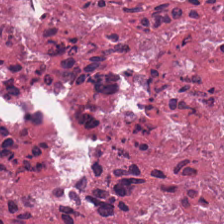H&E stain.
The classification is necrotic debris.
